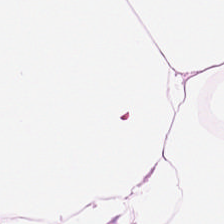Hematoxylin-and-eosin stained section · WSI patch — Tissue class: adipocytes.
